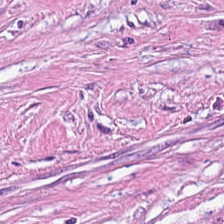Stain: hematoxylin-and-eosin stained section.
Tissue type: cancer-associated stroma.
